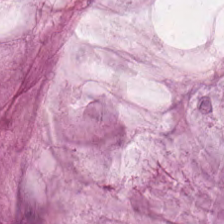Stain: hematoxylin and eosin.
Resolution: 0.5 microns per pixel.
Predominant tissue: mucin.
